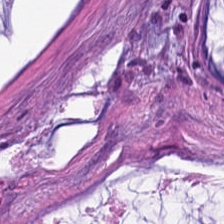FFPE tissue section · hematoxylin-and-eosin stained section. Histology → mucus.
